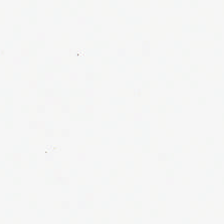Hematoxylin and eosin — Empty field — no tissue.
